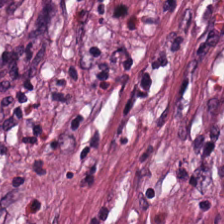FFPE tissue section. H&E-stained tissue section. 0.5 µm per pixel. {"tissue_type": "cancer-associated stroma"}
